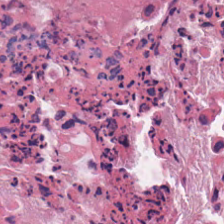Tissue type: debris.
